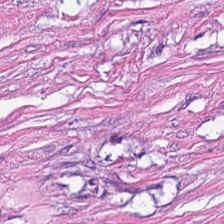FFPE tissue section. H&E-stained tissue section. Histology — desmoplastic stroma.
